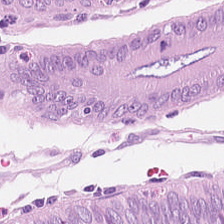H&E patch showing normal colonic mucosa.
